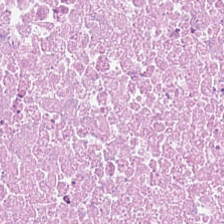Hematoxylin and eosin.
Finding — necrotic debris.
